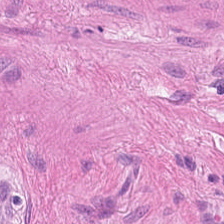H&E stain — Tissue = smooth muscle.
